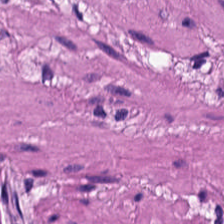Hematoxylin-and-eosin stained section. Showing muscularis.
